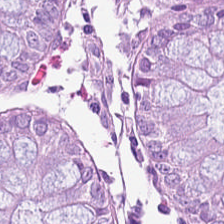Hematoxylin and eosin — Predominant tissue — normal colonic mucosa.
